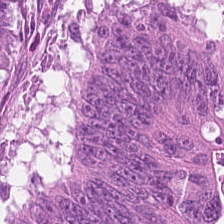Hematoxylin and eosin.
The tissue type is malignant epithelium.
